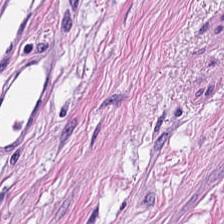FFPE tissue section; H&E; brightfield.
Classification: muscularis.
